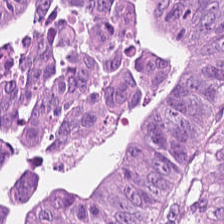WSI patch · H&E · 224×224 px tile. Finding — adenocarcinoma.
